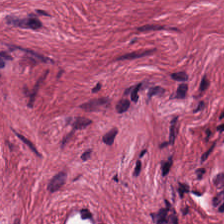Stain: H&E-stained tissue section.
Tissue class: desmoplastic stroma.
